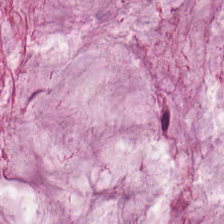H&E-stained tissue section. Q: Identify the tissue.
A: It is extracellular mucin.
